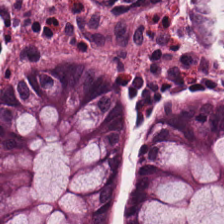H&E-stained tissue section.
Histology — normal colon mucosa.
